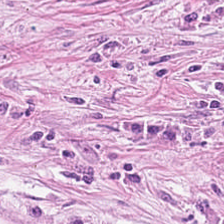Hematoxylin and eosin · 224×224 pixel tile · 0.5 µm/px — Tissue type — cancer-associated stroma.
